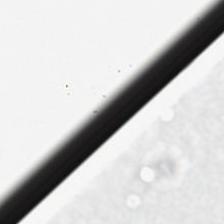Hematoxylin and eosin; FFPE tissue section.
Classification: background.
